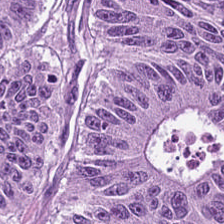Hematoxylin-and-eosin stained section.
Q: What tissue type is shown here?
A: The field shows malignant epithelium.
